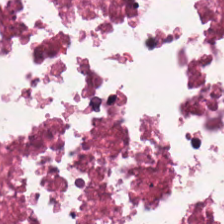Hematoxylin and eosin. 0.5 µm/px. The predominant tissue is necrotic debris.
